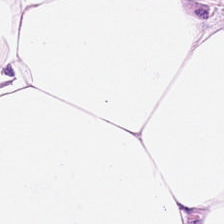FFPE tissue section. Hematoxylin and eosin — {"tissue_type": "adipocytes"}
